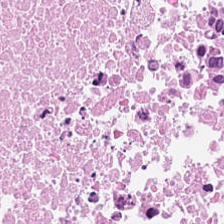H&E-stained tissue section. Debris.
